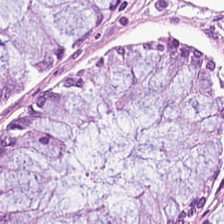Hematoxylin-and-eosin stained section — The classification is non-neoplastic colon mucosa.
